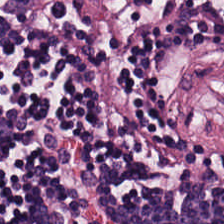Brightfield microscopy. Hematoxylin-and-eosin stained section — This patch shows lymphocytes.
